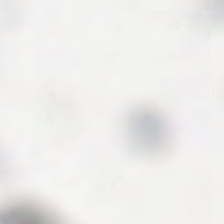H&E.
Content: empty background.
